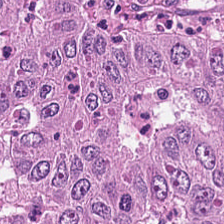224×224 px tile; hematoxylin and eosin — Predominantly colorectal adenocarcinoma.
